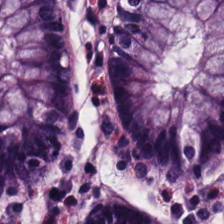Brightfield microscopy; H&E. Q: Classify this patch.
A: It is non-neoplastic colon mucosa.
